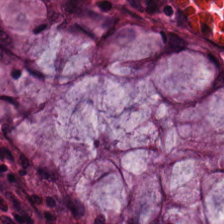Q: What tissue is shown?
A: This is benign colonic mucosa.
